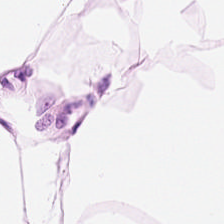0.5 µm per pixel · H&E.
This patch shows adipose.
